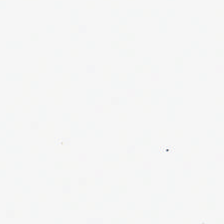Hematoxylin and eosin. Content — background.
